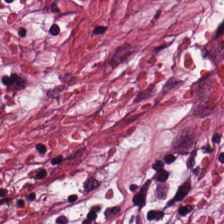H&E stain — Histology — tumor-associated stroma.
